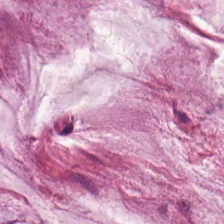Q: Identify the tissue.
A: The field shows mucus.
